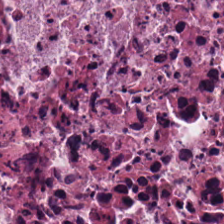20× equivalent magnification. H&E stain. Whole-slide-image patch — Necrotic debris.
